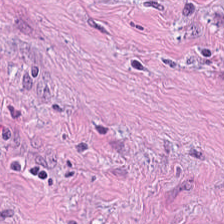H&E stain · brightfield — Finding — cancer-associated stroma.
